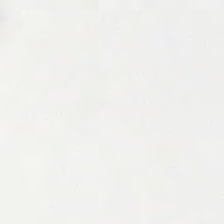FFPE. H&E stain — Finding — no tissue.
